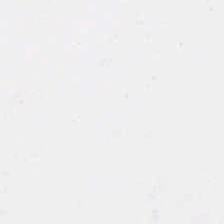Whole-slide-image patch · H&E · FFPE.
Q: What is shown here?
A: It is background (no tissue).
